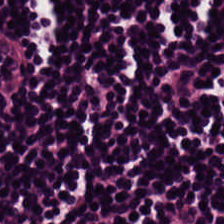Stain: hematoxylin and eosin.
Classification: lymphocytic infiltrate.
